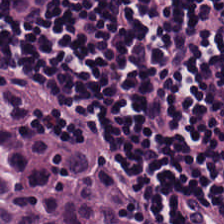H&E-stained tissue section; brightfield microscopy. Q: What type of tissue is this?
A: It is lymphocytic infiltrate.
